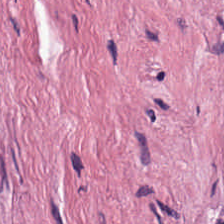Predominant tissue — tumor stroma.
